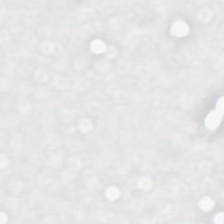Brightfield · H&E stain.
This field is background (no tissue).
